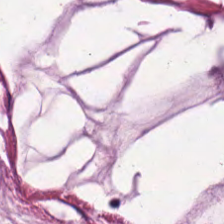Whole-slide-image patch · H&E stain · formalin-fixed paraffin-embedded section — Tissue: mucin.
